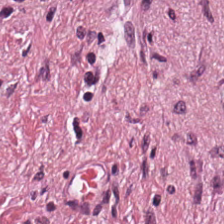H&E-stained tissue section. Formalin-fixed paraffin-embedded section — Tissue class — tumor stroma.
